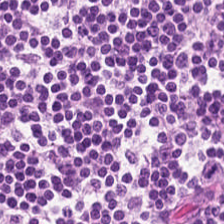H&E. Formalin-fixed paraffin-embedded section.
Q: Classify this patch.
A: The field shows lymphocytic infiltrate.
